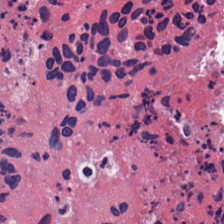Tissue class: debris.
